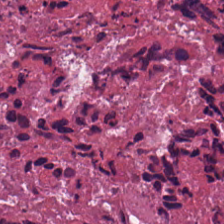The predominant tissue is cellular debris.
